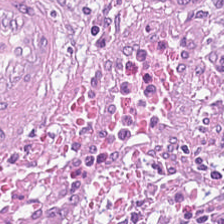20× equivalent magnification. H&E. 224×224 px patch — Tumor stroma.
